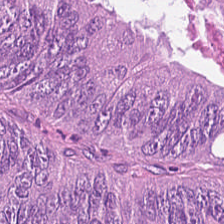Showing tumor epithelium.
